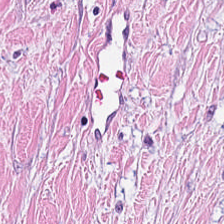Whole-slide-image patch · 0.5 µm/px · H&E stain — Predominantly desmoplastic stroma.
